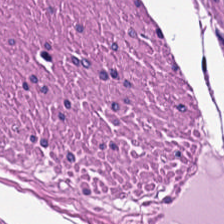H&E stain. The predominant tissue is smooth muscle.
